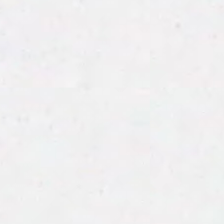H&E-stained tissue section. Background.
